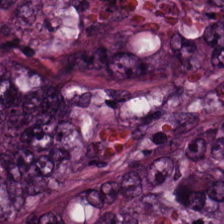Predominant tissue: colorectal adenocarcinoma epithelium.
